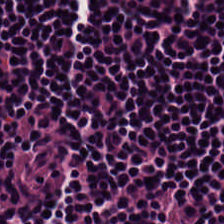H&E stain. This field is lymphocytic infiltrate.
